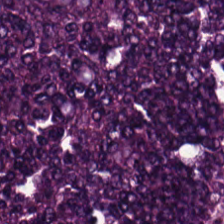H&E stain; 224×224 px patch — {"tissue_type": "colorectal adenocarcinoma"}
